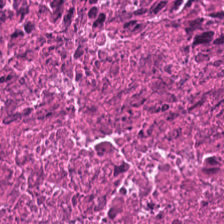H&E · FFPE · 0.5 microns per pixel.
Debris.
